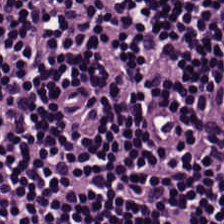0.5 µm per pixel; H&E stain; FFPE.
Predominantly lymphoid infiltrate.
